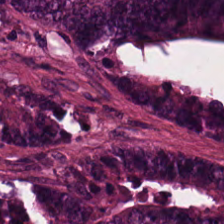H&E stain · WSI patch — Tissue — colorectal adenocarcinoma epithelium.
